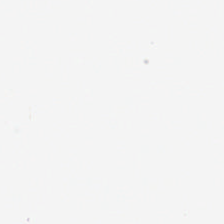Classification: no tissue.
